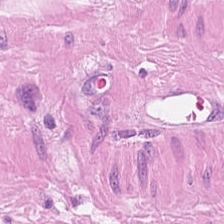Predominant tissue: smooth-muscle tissue.
